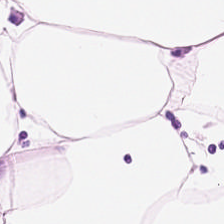Histology — adipocytes.
